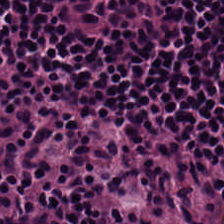H&E stain. This field is lymphocytic infiltrate.
